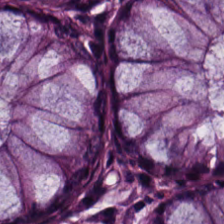Formalin-fixed paraffin-embedded section; H&E-stained tissue section.
{"tissue_type": "normal colonic mucosa"}
